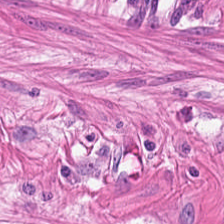Hematoxylin-and-eosin stained section — The tissue here is muscularis.
